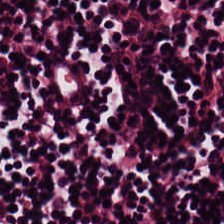H&E.
Predominantly lymphocyte aggregate.
